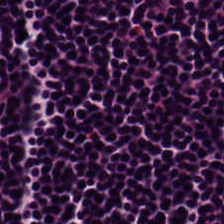FFPE tissue section. H&E — Predominantly lymphoid infiltrate.
